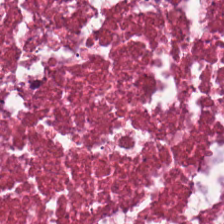Hematoxylin-and-eosin stained section — Predominant tissue = cellular debris.
